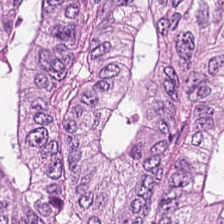This field is malignant epithelium.
